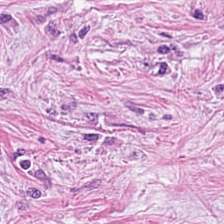H&E-stained tissue section — Tissue = tumor stroma.
